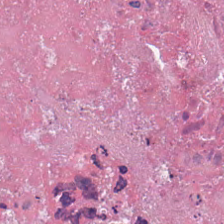Impression — cellular debris.
